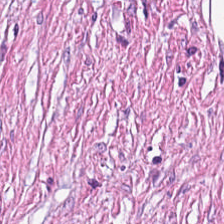Q: What tissue is shown?
A: Tumor stroma.
